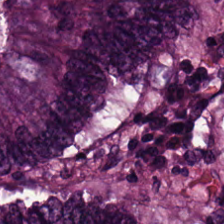H&E-stained tissue section.
The predominant tissue is adenocarcinoma.
